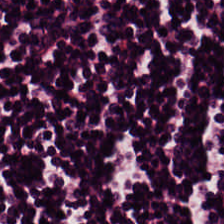Hematoxylin and eosin.
Q: Identify the tissue.
A: It is lymphocytes.
